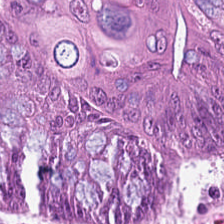{"tissue_type": "malignant epithelium"}
